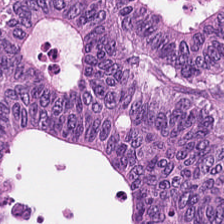Predominant tissue = colorectal adenocarcinoma.
